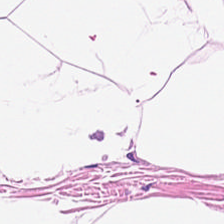H&E stain; 224×224 px patch; WSI patch — The tissue here is adipose.
